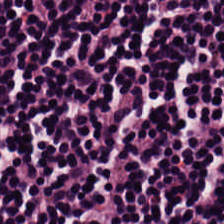H&E-stained tissue section; 0.5 µm per pixel. {"tissue_type": "lymphocytes"}
